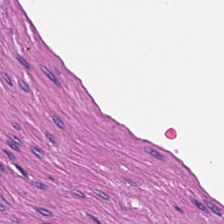0.5 µm per pixel. Hematoxylin and eosin. Classification: muscularis.
